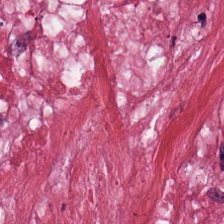H&E-stained tissue section — Desmoplastic stroma.
